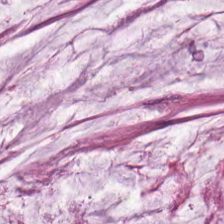Hematoxylin-and-eosin stained section — Extracellular mucin.
